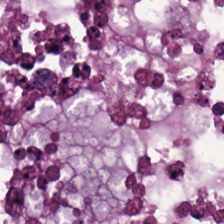Hematoxylin-and-eosin stained section; 20× equivalent magnification.
This field is colorectal adenocarcinoma.
